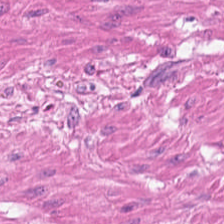Formalin-fixed paraffin-embedded section; H&E-stained tissue section; 0.5 microns per pixel.
The tissue here is muscularis.
